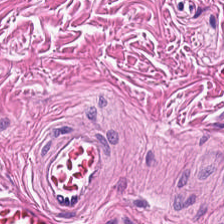Histology → smooth-muscle tissue.
